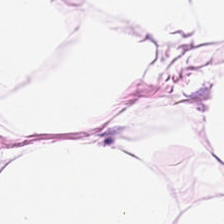Hematoxylin-and-eosin stained section. Tissue type — fat tissue.
